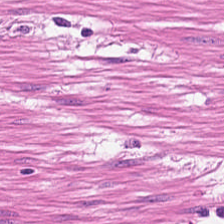Showing smooth-muscle tissue.
